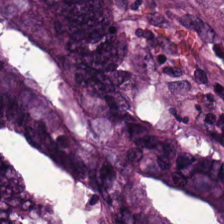H&E stain — The tissue here is colorectal adenocarcinoma.
